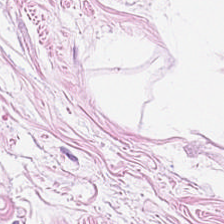Stain: hematoxylin and eosin.
Tissue type: adipocytes.
